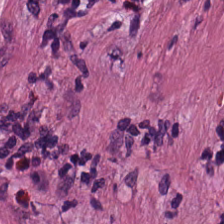H&E stain — This field is desmoplastic stroma.
